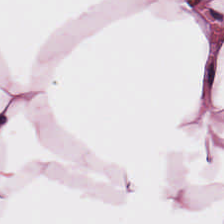Hematoxylin-and-eosin stained section — Q: What is shown in this field?
A: This is fat tissue.
